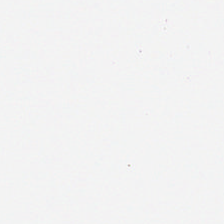Hematoxylin-and-eosin stained section — Empty field — no tissue.
